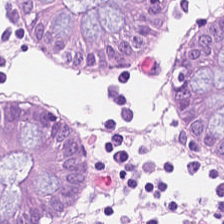The predominant tissue is normal colon mucosa.
